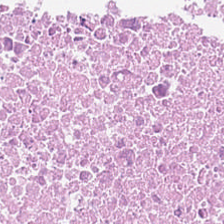H&E stain. Classification: debris.
